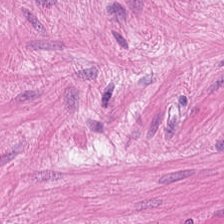H&E patch showing smooth-muscle tissue.
